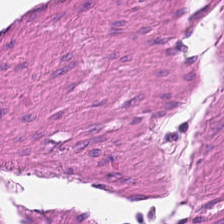Hematoxylin and eosin. Formalin-fixed paraffin-embedded section.
Predominant tissue = smooth muscle.
